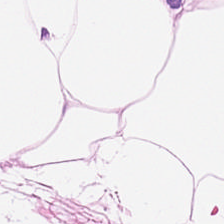FFPE. Hematoxylin and eosin.
Histology — fat tissue.
